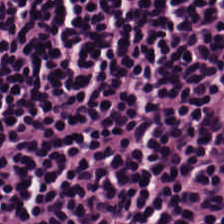{"tissue_type": "lymphocytic infiltrate"}
